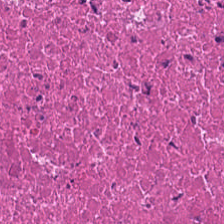224×224 px patch · H&E stain. This field is debris.
